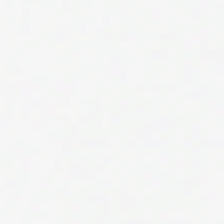Stain: H&E stain.
Classification: empty background.
